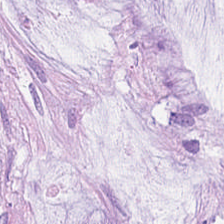Classification = mucin.
